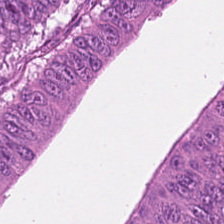Q: What is shown here?
A: It is colorectal adenocarcinoma epithelium.
